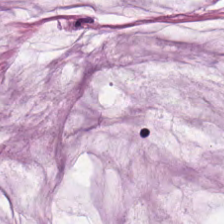H&E.
This field is mucus.
